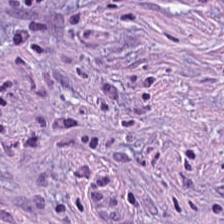0.5 µm/px; H&E-stained tissue section — Q: What type of tissue is this?
A: It is desmoplastic stroma.
